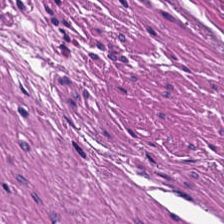H&E.
{"tissue_type": "smooth muscle"}
